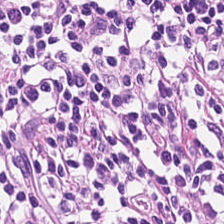Hematoxylin-and-eosin stained section. Showing lymphocytic infiltrate.
